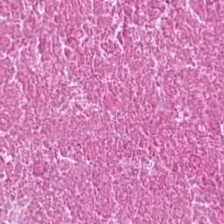The classification is necrotic debris.
